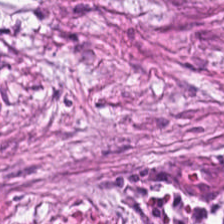WSI patch. Hematoxylin and eosin. 0.5 µm/px. Finding — desmoplastic stroma.
